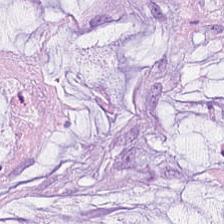Hematoxylin-and-eosin stained section — The predominant tissue is extracellular mucin.
